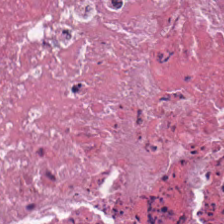Hematoxylin and eosin. {"tissue_type": "necrotic debris"}
